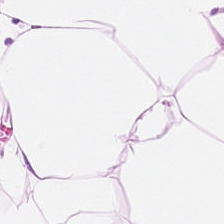20× equivalent magnification; H&E stain — Q: What is the predominant tissue type?
A: This is adipose tissue.
